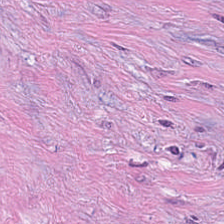Hematoxylin-and-eosin stained section — Histology → desmoplastic stroma.
